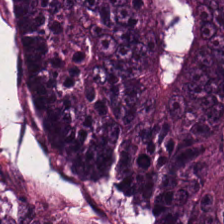Hematoxylin and eosin — Q: Classify this patch.
A: The field shows colorectal adenocarcinoma epithelium.
